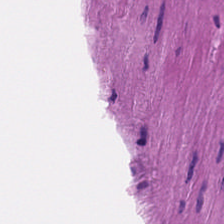224×224 px tile · H&E. Showing smooth muscle.
